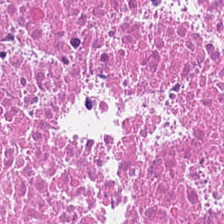FFPE tissue section · hematoxylin-and-eosin stained section. Tissue: cellular debris.
